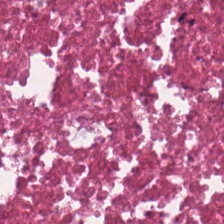H&E stain · 224×224 pixel tile. Classification = cellular debris.
